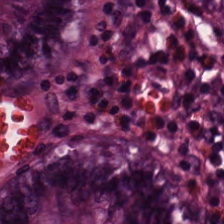H&E.
Finding — normal colonic mucosa.
